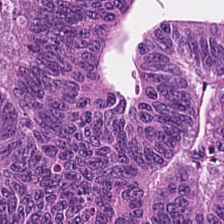H&E-stained tissue section. This patch shows malignant epithelium.
